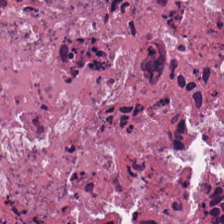The tissue type is necrotic debris.
